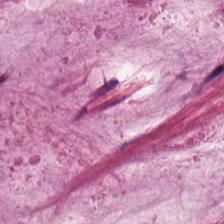Stain: H&E stain.
Tissue: mucus.
